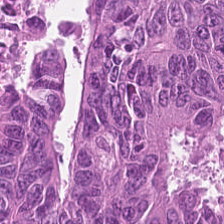The predominant tissue is adenocarcinoma.
